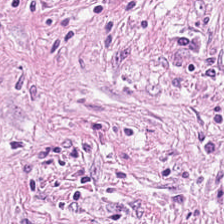Hematoxylin-and-eosin stained section. This field is cancer-associated stroma.
